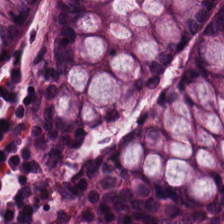Hematoxylin-and-eosin stained section; brightfield microscopy — Non-neoplastic colon mucosa.
